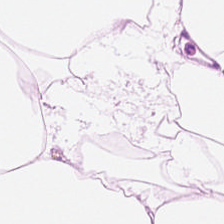{"tissue_type": "adipose"}
